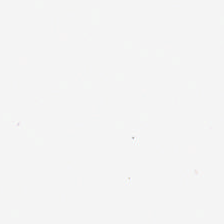FFPE tissue section · hematoxylin and eosin.
This field is background (no tissue).
